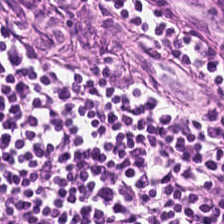H&E stain — Q: What tissue type is shown here?
A: Lymphocyte aggregate.
